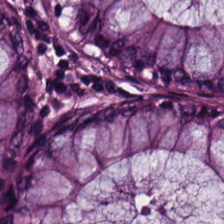H&E-stained tissue section.
Q: What does this patch show?
A: The field shows normal colon mucosa.
